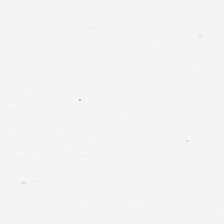H&E-stained tissue section · brightfield microscopy · 224×224 px patch. Q: What does this patch show?
A: This is background.
